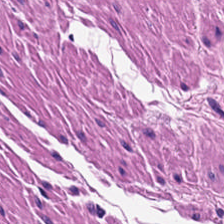Tissue class = muscularis.
